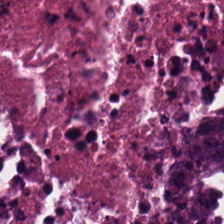Adenocarcinoma.
